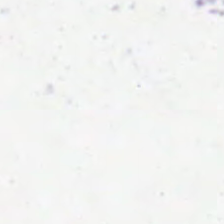Hematoxylin-and-eosin stained section — Histology — background (no tissue).
